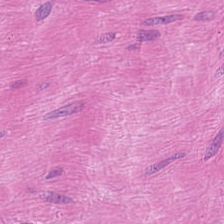H&E patch showing muscularis.
